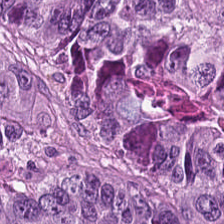H&E-stained tissue section. Tissue type — tumor epithelium.
